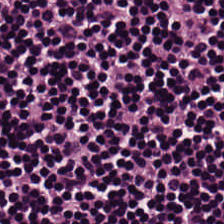Hematoxylin-and-eosin stained section · brightfield microscopy.
Tissue class = lymphocytic infiltrate.
